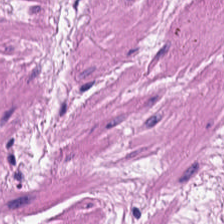H&E-stained section; the field shows smooth-muscle tissue.
